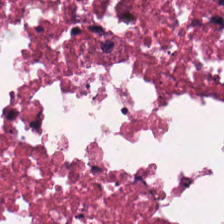H&E-stained tissue section — Predominant tissue: necrotic debris.
